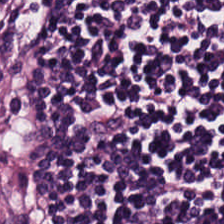H&E. Predominantly lymphocytic infiltrate.
